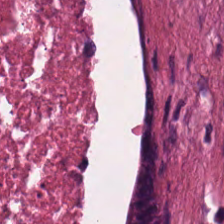Stain: hematoxylin-and-eosin stained section.
Tissue: necrotic debris.
